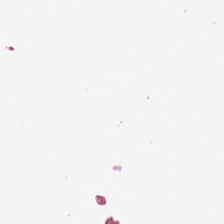Hematoxylin and eosin. Classification = background (no tissue).
